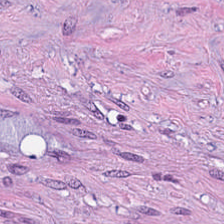The tissue here is tumor-associated stroma.
